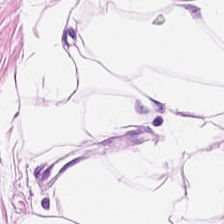Hematoxylin and eosin; 0.5 microns per pixel; brightfield — Showing fat tissue.
